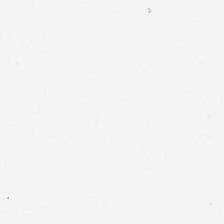Hematoxylin-and-eosin stained section.
No tissue present; background only.
